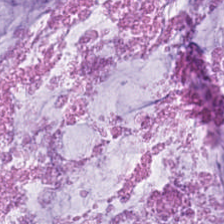H&E stain — Finding → mucin.
